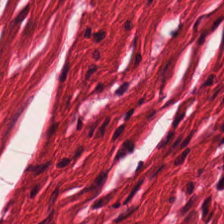H&E; brightfield.
This patch shows smooth-muscle tissue.
